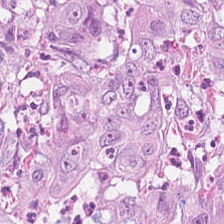Formalin-fixed paraffin-embedded section; 224×224 px tile; H&E.
Showing tumor epithelium.
